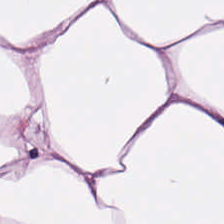H&E-stained tissue section. Formalin-fixed paraffin-embedded section. Predominantly adipose tissue.
